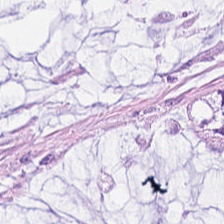Brightfield microscopy · H&E stain. The tissue type is mucus.
